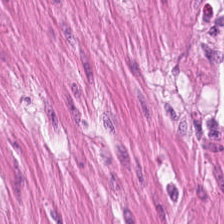224×224 px patch. H&E. 0.5 microns per pixel. This patch shows smooth-muscle tissue.
